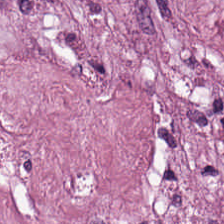Hematoxylin and eosin.
The classification is cancer-associated stroma.
